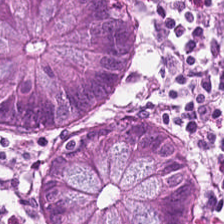H&E stain · 0.5 µm/px — This field is non-neoplastic colon mucosa.
